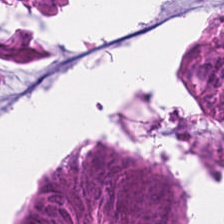Stain: H&E-stained tissue section.
Tissue class: malignant epithelium.
